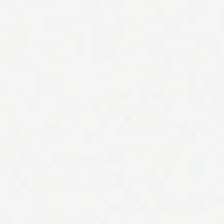H&E · whole-slide-image patch · 224×224 px patch. Classification — empty background.
